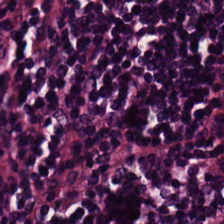Stain: H&E stain.
Tissue: lymphocyte aggregate.
